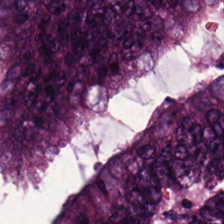H&E — This field is adenocarcinoma.
